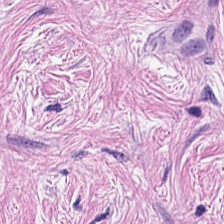Hematoxylin and eosin — Tissue = tumor-associated stroma.
